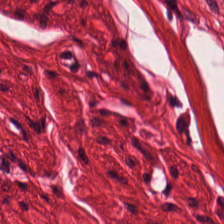Q: Identify the tissue.
A: This is muscularis.
